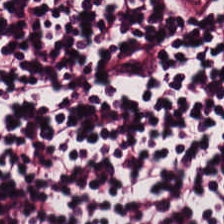Hematoxylin and eosin — Tissue class: lymphocytes.
